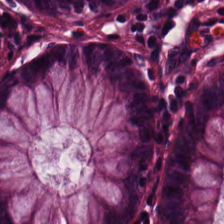H&E stain.
Predominantly normal colon mucosa.
